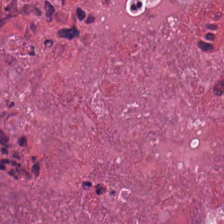Hematoxylin-and-eosin stained section.
The tissue here is necrotic debris.
